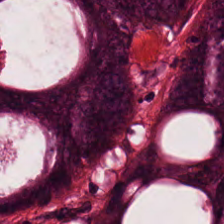Hematoxylin and eosin.
Showing colorectal adenocarcinoma.
